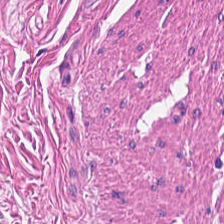Hematoxylin and eosin.
Predominantly muscularis.
